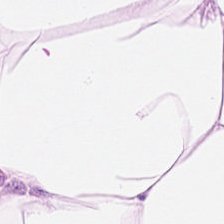Q: Identify the tissue.
A: Adipose.
